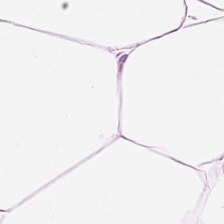Tissue type — adipose.
